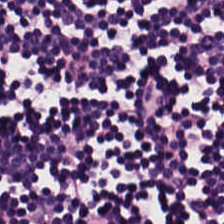Hematoxylin and eosin. FFPE.
Classification = lymphocyte aggregate.
